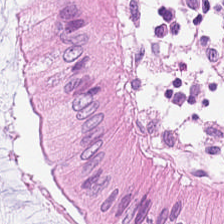Stain: H&E-stained tissue section.
Acquisition: brightfield microscopy.
Tissue class: non-neoplastic colon mucosa.
